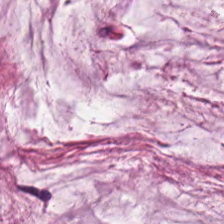Q: What does this patch show?
A: Mucus.
